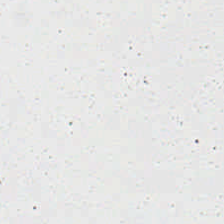Hematoxylin-and-eosin stained section. Content: background (no tissue).
